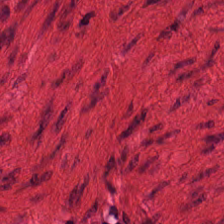Hematoxylin-and-eosin stained section · WSI patch.
Tissue type = smooth-muscle tissue.
